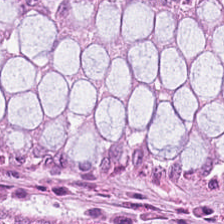H&E. Predominant tissue — normal colonic mucosa.
